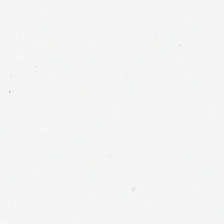H&E-stained tissue section. Content: background (no tissue).
